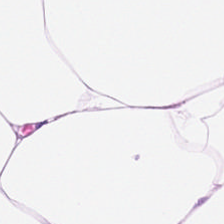H&E stain.
Predominantly fat tissue.
